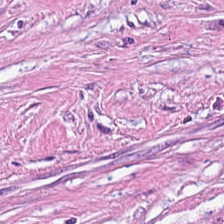H&E stain. 0.5 µm per pixel.
This patch shows tumor-associated stroma.
